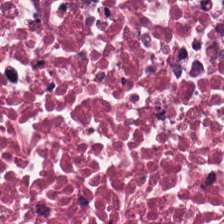Stain: H&E-stained tissue section.
Classification: necrotic debris.
